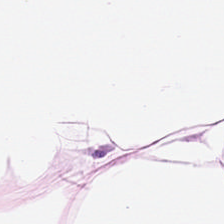H&E stain — Predominant tissue — adipose.
